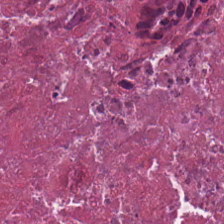H&E-stained tissue section. Showing necrotic debris.
